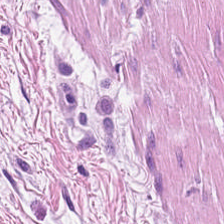224×224 pixel tile. Brightfield microscopy. Hematoxylin and eosin.
Tissue class: smooth muscle.
